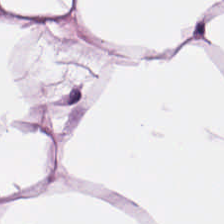Tissue type — fat tissue.
